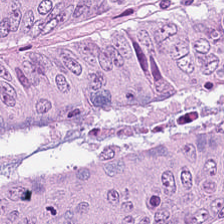Impression — colorectal adenocarcinoma.
